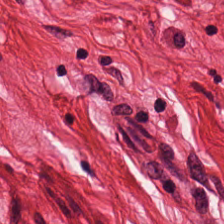Hematoxylin and eosin. Finding → smooth muscle.
